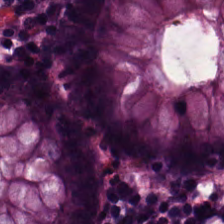20× equivalent magnification · hematoxylin-and-eosin stained section. Tissue — benign colonic mucosa.
